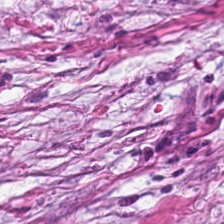Tissue = desmoplastic stroma.
